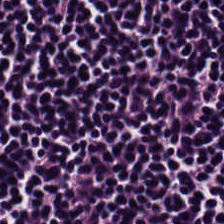Hematoxylin-and-eosin stained section.
Showing lymphocytic infiltrate.
